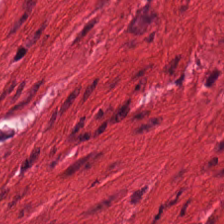H&E stain.
Smooth muscle.
